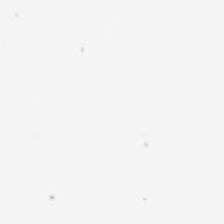Content = background (no tissue).
